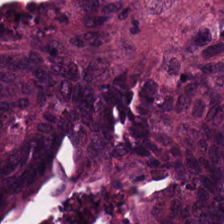H&E-stained tissue section.
Predominant tissue — colorectal adenocarcinoma.
